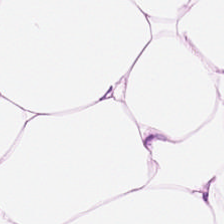Stain: hematoxylin-and-eosin stained section.
Resolution: 0.5 µm/px.
Predominant tissue: adipose.
